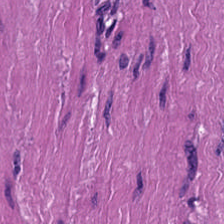Hematoxylin and eosin. This field is smooth-muscle tissue.
